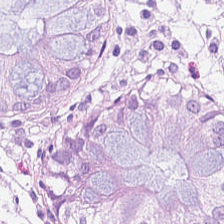Q: What does this patch show?
A: Normal colonic mucosa.
